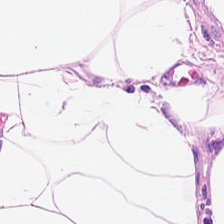H&E-stained tissue section.
{"tissue_type": "adipose"}
